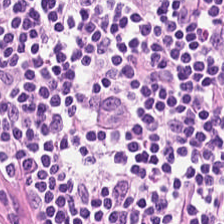Q: What tissue type is shown here?
A: The field shows lymphocytic infiltrate.
